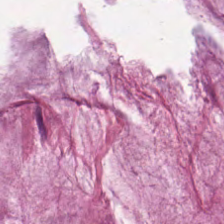Hematoxylin and eosin — Tissue class: extracellular mucin.
